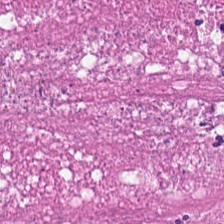FFPE. H&E. 0.5 µm/px.
Histology — debris.
